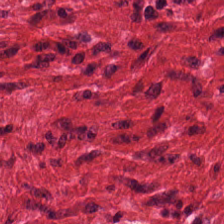Brightfield microscopy. Hematoxylin-and-eosin stained section — This patch shows smooth-muscle tissue.
